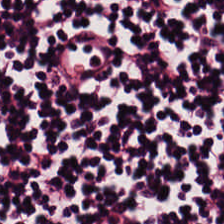H&E-stained tissue section — The tissue here is lymphoid infiltrate.
